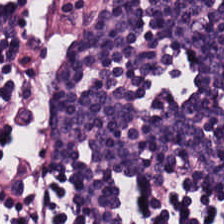Hematoxylin-and-eosin stained section. Predominant tissue — lymphocytes.
